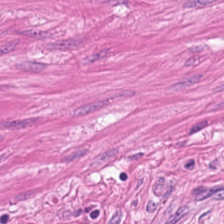Stain: H&E-stained tissue section.
Classification: muscularis.
